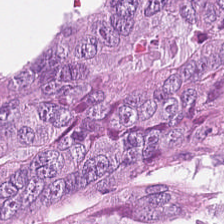Hematoxylin and eosin · 0.5 µm/px.
This patch shows tumor epithelium.
